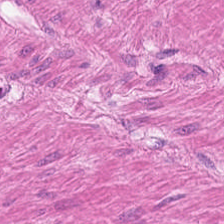Stain: H&E.
Predominant tissue: smooth-muscle tissue.
